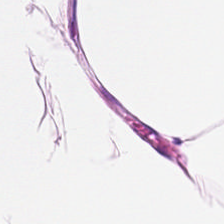H&E — Tissue type = fat tissue.
